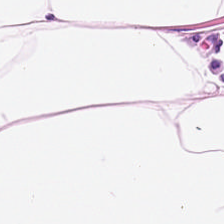Hematoxylin and eosin · 224×224 pixel tile · brightfield microscopy.
Q: What is shown in this field?
A: This is adipose tissue.
